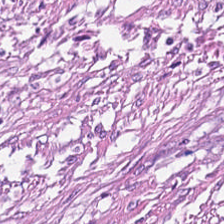H&E-stained tissue section — Desmoplastic stroma.
